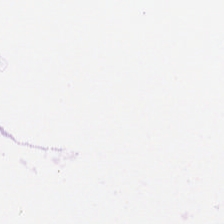H&E · FFPE — Q: What does this patch show?
A: This is background (no tissue).
